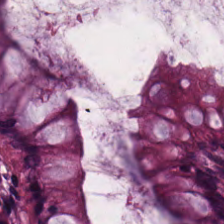Histology — normal colon mucosa.
